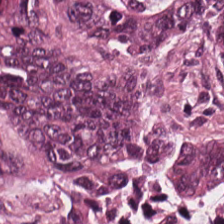Hematoxylin and eosin · 0.5 µm per pixel. Predominantly colorectal adenocarcinoma epithelium.
